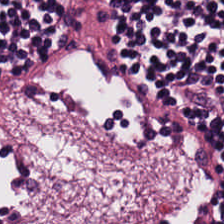Stain: H&E stain.
Tissue class: lymphoid infiltrate.
